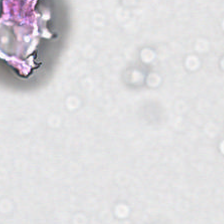The classification is no tissue.
